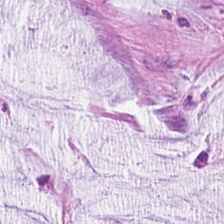0.5 µm per pixel · H&E — This patch shows extracellular mucin.
